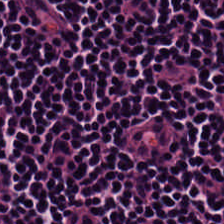Tissue = lymphocyte aggregate.
